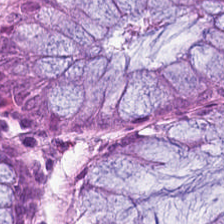Whole-slide-image patch; 224×224 pixel tile; H&E stain. Classification: normal colonic mucosa.
